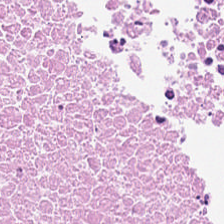Predominant tissue — necrotic debris.
